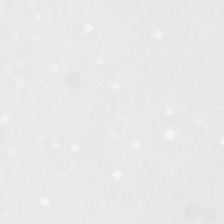224×224 px patch. 0.5 microns per pixel. Hematoxylin-and-eosin stained section.
This field is background (no tissue).
